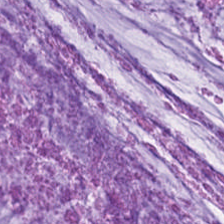Stain: H&E stain.
Tissue class: mucin.
